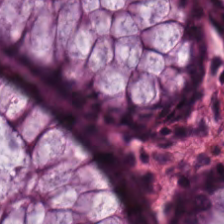H&E stain.
The classification is benign colonic mucosa.
